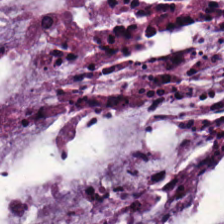Stain: hematoxylin-and-eosin stained section.
Resolution: 20× equivalent magnification.
Tissue: extracellular mucin.
